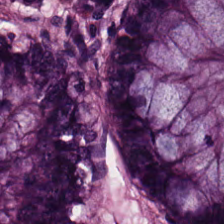Stain: H&E-stained tissue section.
Tissue class: normal colon mucosa.
